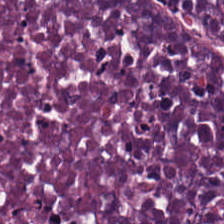The predominant tissue is necrotic debris.
